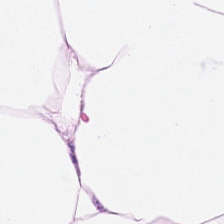Hematoxylin and eosin. Q: What is shown here?
A: Adipose.
